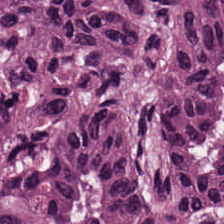Tissue class = adenocarcinoma.
